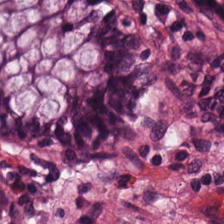Brightfield microscopy · hematoxylin and eosin.
Predominantly benign colonic mucosa.
